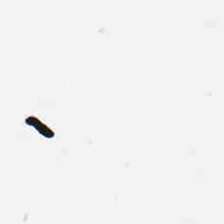H&E stain.
This field is background (no tissue).
